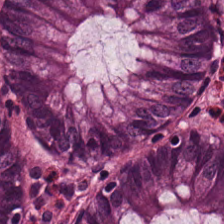Stain: hematoxylin-and-eosin stained section.
Preparation: FFPE.
Acquisition: whole-slide-image patch.
Tissue type: non-neoplastic colon mucosa.
